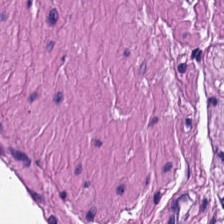Hematoxylin-and-eosin stained section. Whole-slide-image patch. 224×224 pixel tile. Tissue type = smooth muscle.
